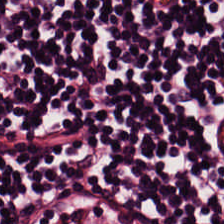0.5 microns per pixel; hematoxylin-and-eosin stained section; FFPE tissue section — Impression → lymphocytes.
